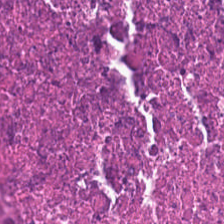224×224 px tile. H&E.
The tissue class is cellular debris.
